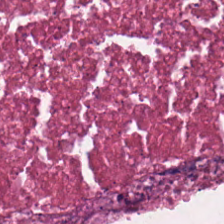Tissue class — necrotic debris.
